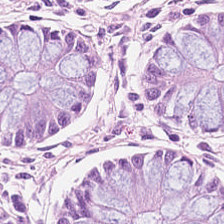FFPE · H&E stain · whole-slide-image patch — Q: What does this patch show?
A: Non-neoplastic colon mucosa.
